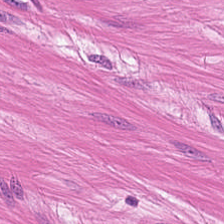H&E stain.
Q: What tissue type is shown here?
A: Muscularis.
